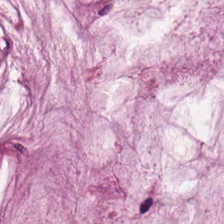FFPE; hematoxylin and eosin.
The tissue type is mucus.
